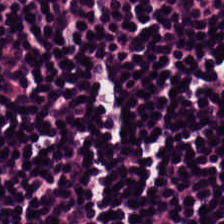224×224 pixel tile · H&E. Lymphoid infiltrate.
